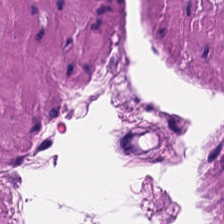H&E — smooth muscle.
